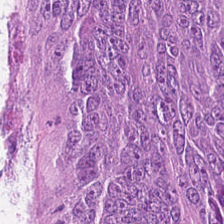H&E stain. Brightfield.
This field is adenocarcinoma.
